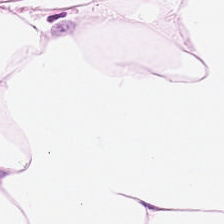H&E. Brightfield microscopy — Q: Identify the tissue.
A: Adipose tissue.
